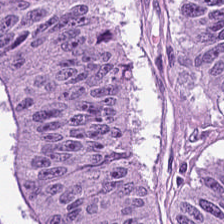224×224 px patch. Hematoxylin and eosin.
Q: What does this patch show?
A: Malignant epithelium.
